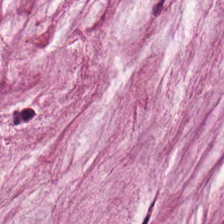Brightfield microscopy. Formalin-fixed paraffin-embedded section. H&E.
Tissue class — extracellular mucin.
